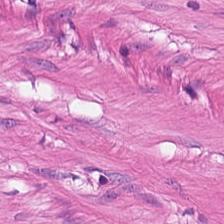H&E stain · brightfield. The tissue type is smooth-muscle tissue.
